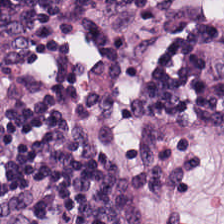Hematoxylin-and-eosin stained section. The tissue here is lymphoid infiltrate.
